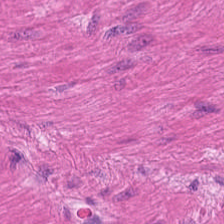FFPE; H&E-stained tissue section; 224×224 px tile — {"tissue_type": "muscularis"}
